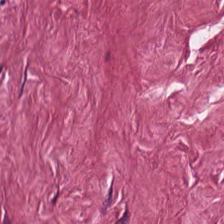H&E-stained tissue section · 224×224 px tile — The classification is tumor stroma.
